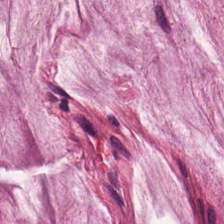Impression — mucin.
